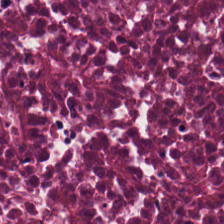Histology → debris.
